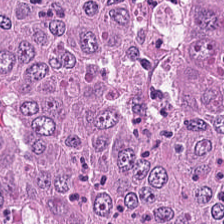20× equivalent magnification. H&E-stained tissue section. Finding — tumor epithelium.
